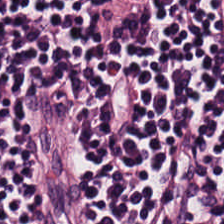Q: Classify this patch.
A: This is lymphocyte aggregate.
